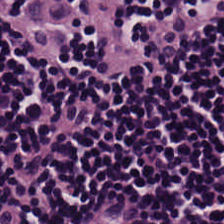FFPE tissue section. Hematoxylin-and-eosin stained section — Predominantly lymphoid infiltrate.
